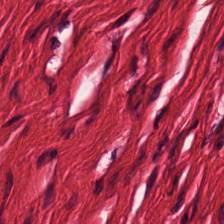H&E-stained section; the field shows muscularis.
